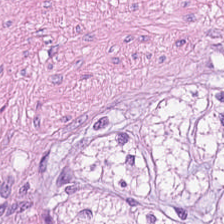FFPE · hematoxylin-and-eosin stained section · 0.5 µm per pixel.
Q: What is the predominant tissue type?
A: The field shows muscularis.
